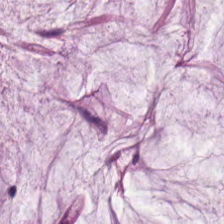H&E-stained tissue section.
Showing mucus.
